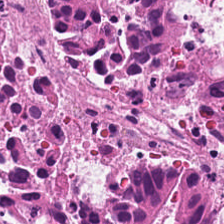Stain: hematoxylin and eosin.
Tissue type: necrotic debris.
